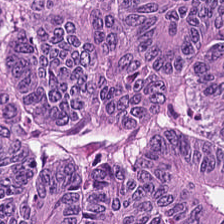224×224 pixel tile · hematoxylin and eosin. {"tissue_type": "tumor epithelium"}
